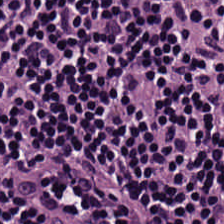H&E — This field is lymphocytic infiltrate.
